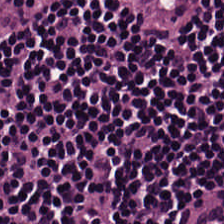H&E — Q: What does this patch show?
A: Lymphocyte aggregate.
